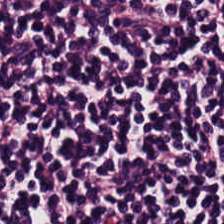224×224 pixel tile. H&E-stained tissue section — This patch shows lymphoid infiltrate.
